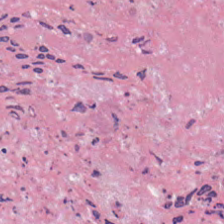FFPE tissue section · 0.5 microns per pixel · H&E-stained tissue section. This field is cellular debris.
